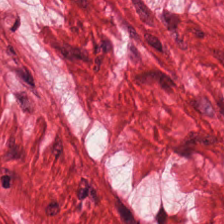224×224 pixel tile. H&E. FFPE tissue section.
Q: Classify this patch.
A: This is smooth muscle.
